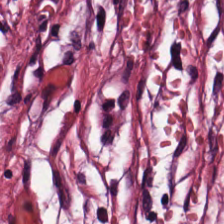H&E stain — Desmoplastic stroma.
